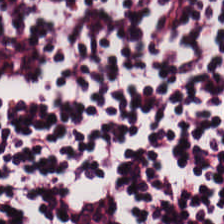H&E stain; brightfield microscopy. Q: Identify the tissue.
A: The field shows lymphocytic infiltrate.
